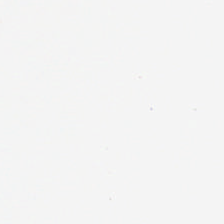Empty field — empty background.
